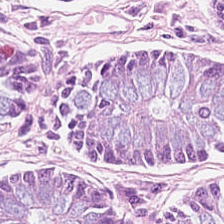H&E-stained tissue section · 224×224 px tile. Tissue type = normal colonic mucosa.
